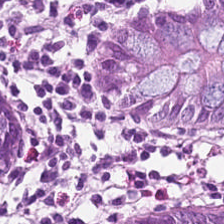H&E-stained tissue section — This patch shows normal colonic mucosa.
